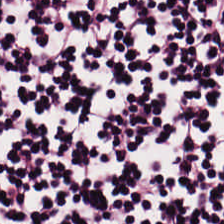Formalin-fixed paraffin-embedded section; hematoxylin-and-eosin stained section.
Tissue — lymphocytic infiltrate.
